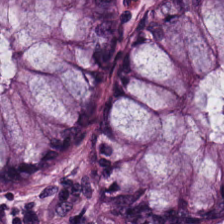Hematoxylin-and-eosin stained section.
{"tissue_type": "normal colon mucosa"}
